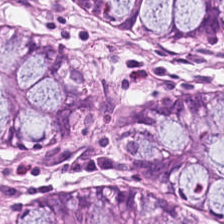20× equivalent magnification · H&E-stained tissue section. The tissue is normal colon mucosa.
